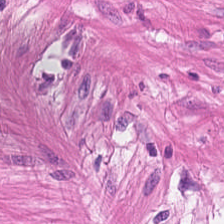Showing muscularis.
